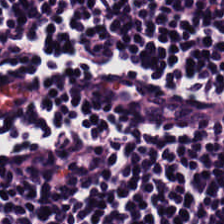H&E. 0.5 µm per pixel — Q: What is the predominant tissue type?
A: It is lymphocytic infiltrate.
